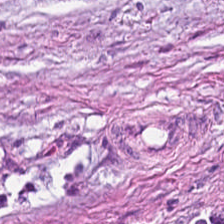Hematoxylin and eosin — Q: What tissue type is shown here?
A: This is tumor-associated stroma.
